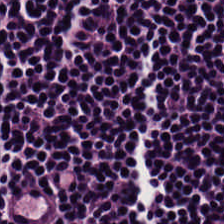Classification = lymphocytes.
